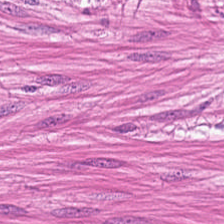Predominantly smooth muscle.
